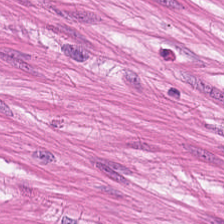Hematoxylin-and-eosin stained section. {"tissue_type": "smooth muscle"}
